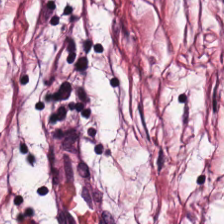H&E-stained tissue section — The tissue here is desmoplastic stroma.
